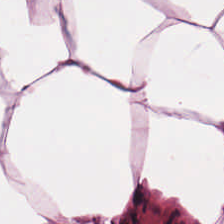Tissue type — adipocytes.
